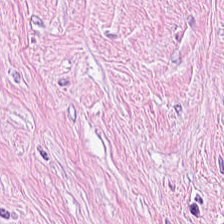Tissue type — cancer-associated stroma.
